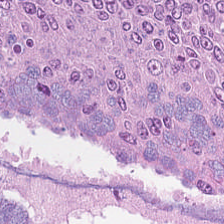H&E stain. This field is tumor epithelium.
